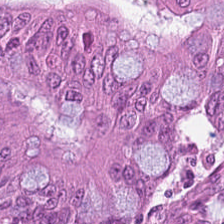H&E — malignant epithelium.
